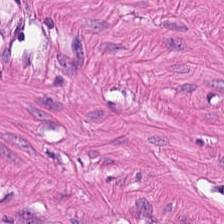H&E-stained tissue section — Q: What type of tissue is this?
A: The field shows muscularis.
